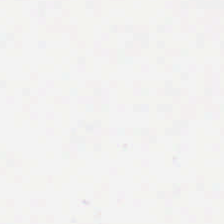Impression → no tissue.
